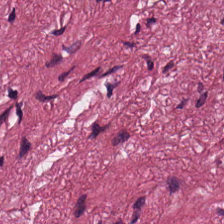H&E-stained tissue section — The tissue is tumor-associated stroma.
